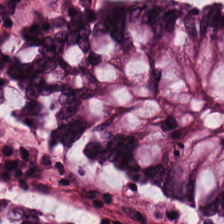Predominant tissue = benign colonic mucosa.
